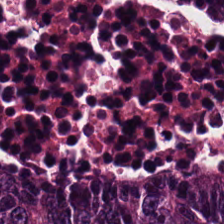The predominant tissue is tumor epithelium.
